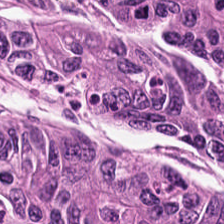Hematoxylin-and-eosin stained section — Adenocarcinoma.
